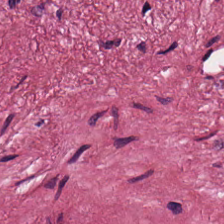Hematoxylin-and-eosin stained section. FFPE tissue section. 20× equivalent magnification — This field is cancer-associated stroma.
